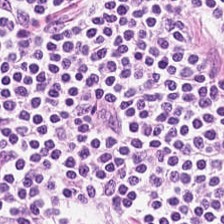H&E-stained tissue section.
The tissue is lymphoid infiltrate.
